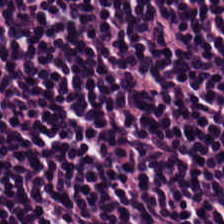Brightfield · 0.5 microns per pixel · H&E stain. Q: What is shown here?
A: The field shows lymphocytes.
